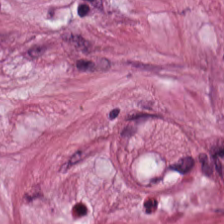H&E-stained tissue section. 224×224 px patch.
Q: What is the predominant tissue type?
A: It is tumor stroma.
